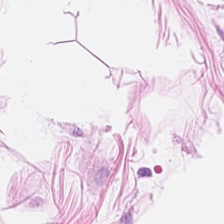H&E stain.
Q: What is shown in this field?
A: Adipose tissue.
